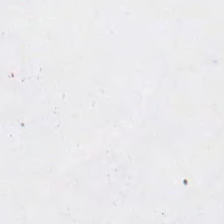Empty field — no tissue.
